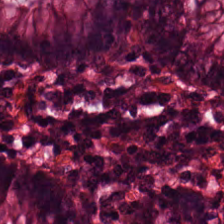Hematoxylin-and-eosin stained section. {"tissue_type": "non-neoplastic colon mucosa"}
